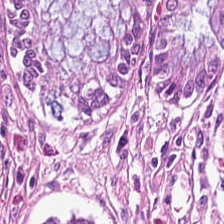H&E — {"tissue_type": "benign colonic mucosa"}
